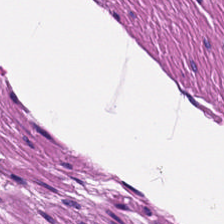20× equivalent magnification · 224×224 px patch · H&E — {"tissue_type": "muscularis"}
